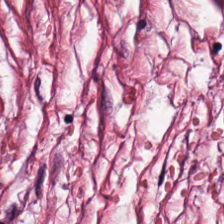Stain: H&E.
Classification: tumor-associated stroma.
